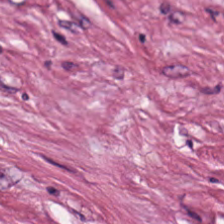Whole-slide-image patch. Hematoxylin and eosin.
Impression — tumor stroma.
